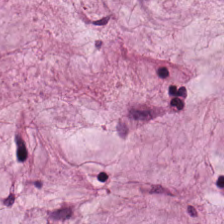Hematoxylin-and-eosin stained section. The predominant tissue is extracellular mucin.
